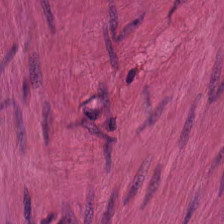Q: What tissue type is shown here?
A: The field shows smooth-muscle tissue.
